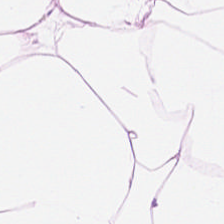Hematoxylin-and-eosin stained section. {"tissue_type": "adipocytes"}
